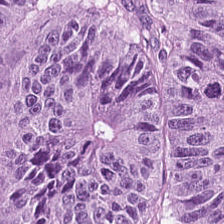Tissue: adenocarcinoma.
